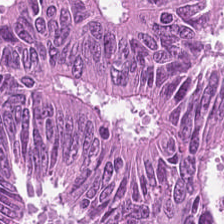H&E stain. Formalin-fixed paraffin-embedded section. Showing tumor epithelium.
